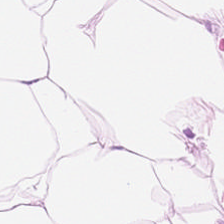H&E-stained tissue section; WSI patch — {"tissue_type": "adipocytes"}
